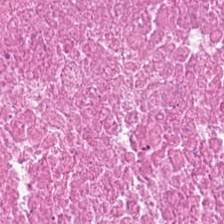Q: Identify the tissue.
A: This is debris.
